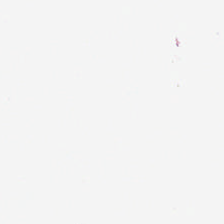224×224 px patch · hematoxylin and eosin · FFPE. The classification is empty background.
